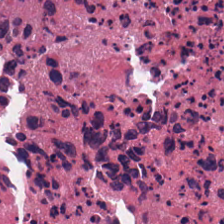Hematoxylin-and-eosin stained section.
{"tissue_type": "debris"}
